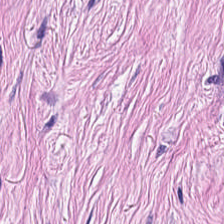Tissue type: tumor-associated stroma.
